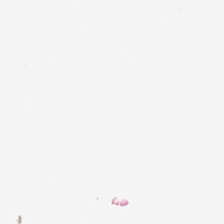Hematoxylin-and-eosin stained section · 224×224 pixel tile. Empty field — no tissue.
